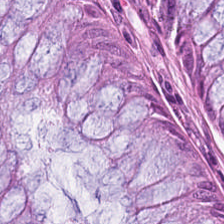Stain: hematoxylin and eosin.
Tissue: benign colonic mucosa.
